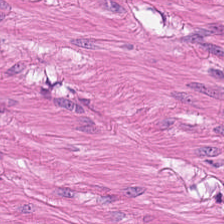H&E stain. Finding — smooth-muscle tissue.
